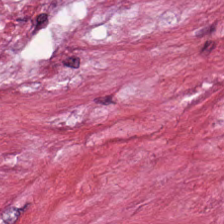Hematoxylin-and-eosin stained section. Classification — desmoplastic stroma.
